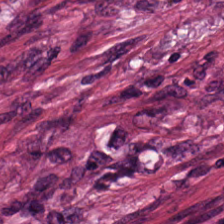Q: Classify this patch.
A: This is desmoplastic stroma.
